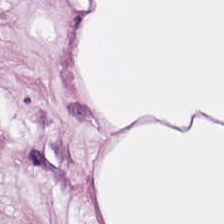H&E — Predominant tissue — adipose tissue.
